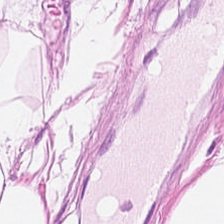H&E.
Q: What does this patch show?
A: Adipocytes.
